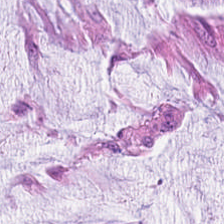Hematoxylin-and-eosin stained section — This field is mucus.
